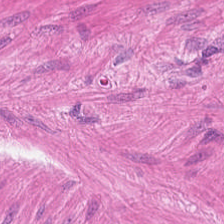Tissue — smooth-muscle tissue.
